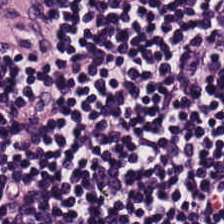H&E stain.
Predominant tissue = lymphocytic infiltrate.
